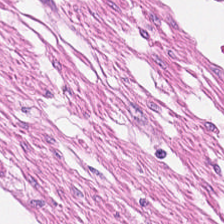Tissue class — smooth-muscle tissue.
